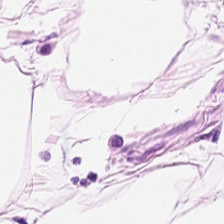Classification = adipose tissue.
